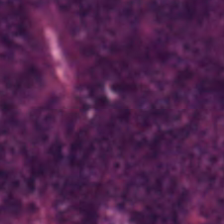Tissue class = adenocarcinoma.
